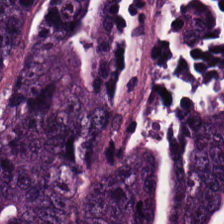FFPE · H&E. Predominant tissue — adenocarcinoma.
